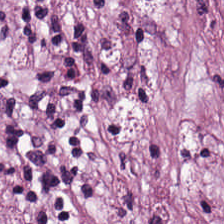Hematoxylin-and-eosin stained section; whole-slide-image patch; 0.5 microns per pixel — Classification: desmoplastic stroma.
